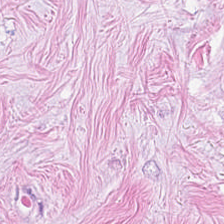Stain: H&E-stained tissue section.
Resolution: 0.5 microns per pixel.
Tile size: 224×224 px tile.
Tissue: tumor-associated stroma.
